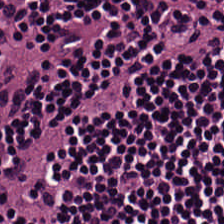Tissue: lymphocytic infiltrate.
